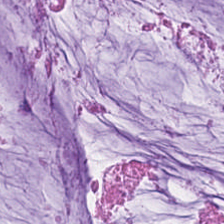Stain: H&E stain.
Tissue class: mucin.
